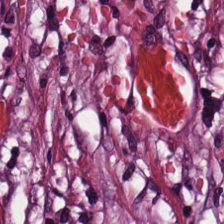Stain: hematoxylin-and-eosin stained section.
Tissue: tumor stroma.
